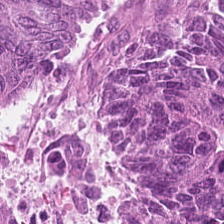Stain: H&E.
Preparation: formalin-fixed paraffin-embedded section.
Tissue class: malignant epithelium.
